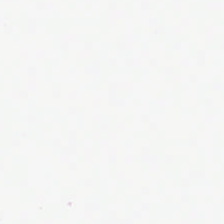Hematoxylin and eosin.
Classification: background (no tissue).
